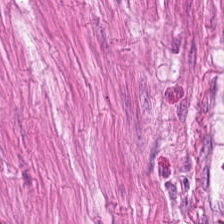Hematoxylin-and-eosin stained section. Tissue type — muscularis.
